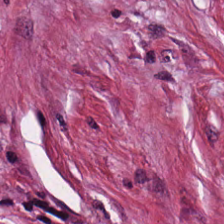H&E — This field is tumor stroma.
